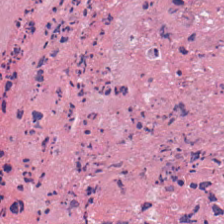H&E; FFPE.
Classification = debris.
